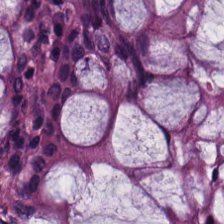H&E-stained tissue section.
This patch shows non-neoplastic colon mucosa.
